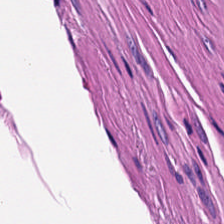224×224 px tile. H&E. WSI patch.
Finding — muscularis.
